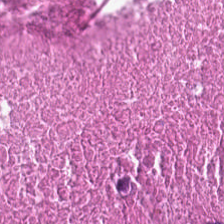Whole-slide-image patch; FFPE tissue section; H&E stain.
Predominantly necrotic debris.
